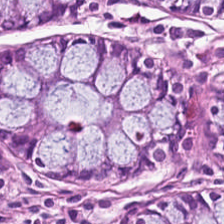0.5 µm/px · H&E stain · formalin-fixed paraffin-embedded section — The predominant tissue is normal colon mucosa.
